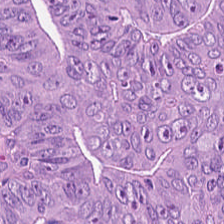Q: What tissue type is shown here?
A: It is tumor epithelium.
